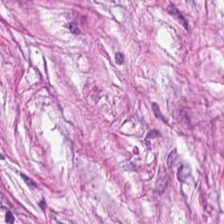H&E-stained tissue section.
The predominant tissue is cancer-associated stroma.
